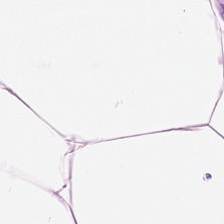H&E.
Q: Classify this patch.
A: It is adipose.
